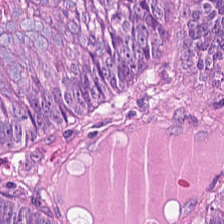The classification is tumor epithelium.
